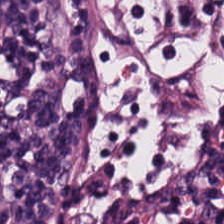Histology → lymphocytic infiltrate.
